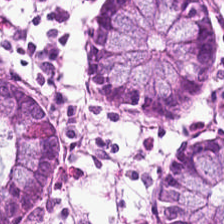This field is normal colonic mucosa.
